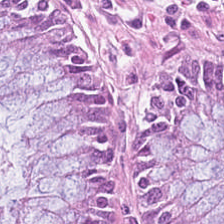H&E-stained tissue section — Tissue class = benign colonic mucosa.
